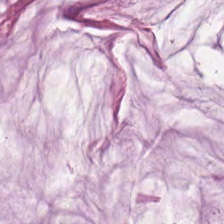Hematoxylin-and-eosin stained section. Q: What does this patch show?
A: It is mucus.
